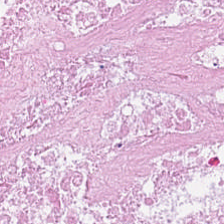Formalin-fixed paraffin-embedded section. H&E — This field is necrotic debris.
